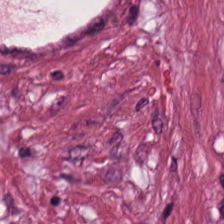H&E.
Q: What does this patch show?
A: It is desmoplastic stroma.
